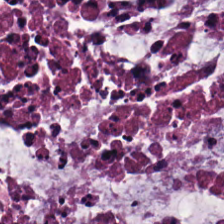H&E patch showing extracellular mucin.
